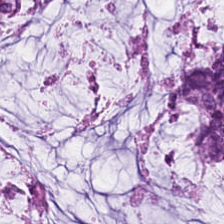Stain: hematoxylin-and-eosin stained section.
Tile size: 224×224 px tile.
Classification: mucin.
